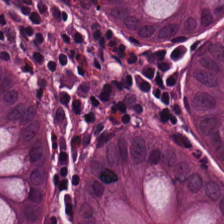Q: What is shown in this field?
A: The field shows benign colonic mucosa.
